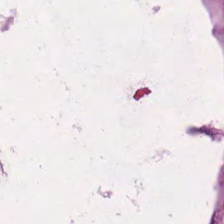H&E stain.
Showing mucus.
